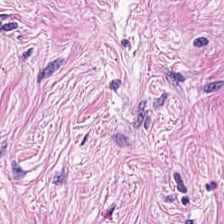Predominant tissue = cancer-associated stroma.
